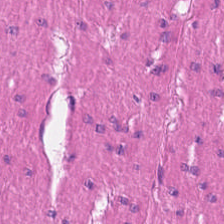H&E. Smooth muscle.
